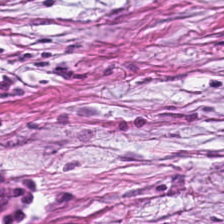H&E stain; brightfield microscopy.
The predominant tissue is cancer-associated stroma.
